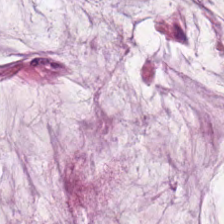0.5 µm/px. H&E — This patch shows extracellular mucin.
